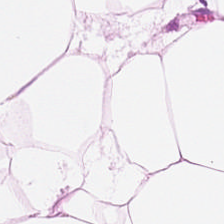Hematoxylin and eosin · formalin-fixed paraffin-embedded section. The tissue here is adipocytes.
